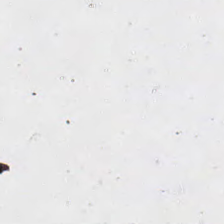The field content is background.
